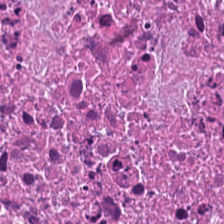224×224 px tile; hematoxylin-and-eosin stained section — The tissue type is necrotic debris.
